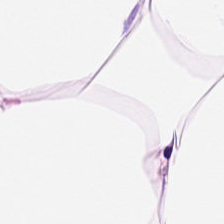Hematoxylin and eosin.
Tissue class: adipose tissue.
